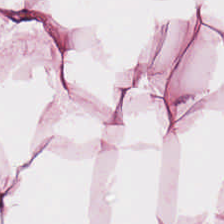Stain: H&E.
Tissue: adipocytes.
